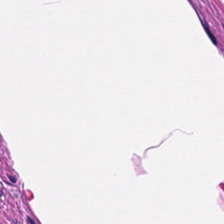H&E stain · 0.5 microns per pixel.
Tissue class: muscularis.
